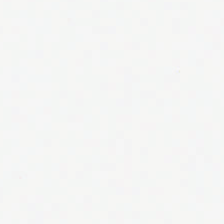H&E-stained tissue section.
{"content": "background (no tissue)"}
